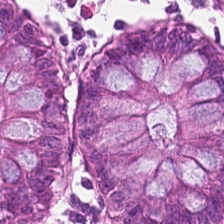Formalin-fixed paraffin-embedded section. H&E-stained tissue section. This patch shows non-neoplastic colon mucosa.
